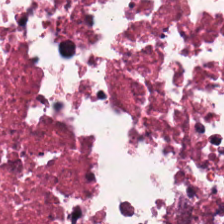H&E-stained tissue section showing debris.
